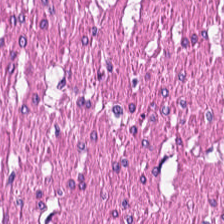Stain: hematoxylin and eosin.
Predominant tissue: smooth muscle.
